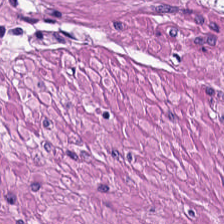H&E-stained tissue section. 0.5 µm per pixel — Smooth muscle.
